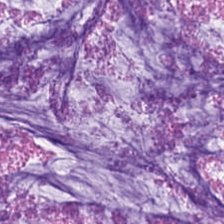224×224 pixel tile · hematoxylin-and-eosin stained section.
Showing extracellular mucin.
